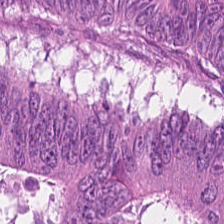Tissue class: malignant epithelium.
